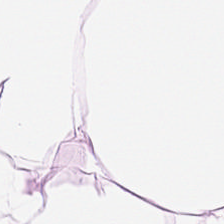0.5 µm/px · H&E-stained tissue section · brightfield. Tissue class = fat tissue.
